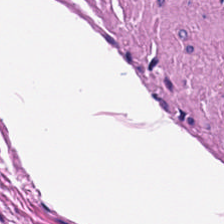H&E stain — Impression — muscularis.
